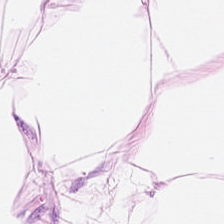224×224 px patch · hematoxylin and eosin — The tissue here is adipose.
